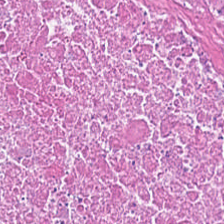H&E stain · 224×224 px patch.
Impression — cellular debris.
